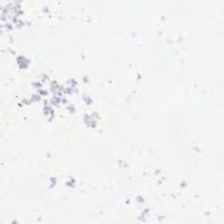H&E stain. Brightfield — Finding — empty background.
